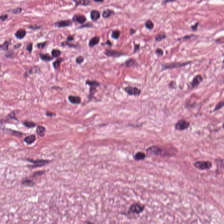The classification is tumor-associated stroma.
